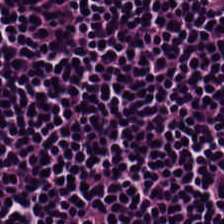H&E stain · FFPE tissue section.
{"tissue_type": "lymphocyte aggregate"}
